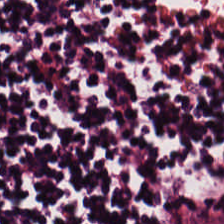H&E-stained tissue section — The tissue here is lymphocytic infiltrate.
